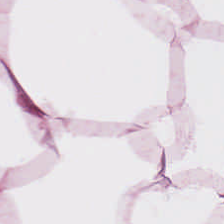224×224 pixel tile; WSI patch; hematoxylin and eosin.
Finding — adipose tissue.
